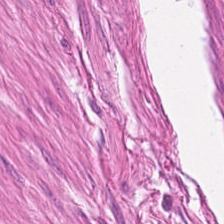H&E. WSI patch.
Showing muscularis.
